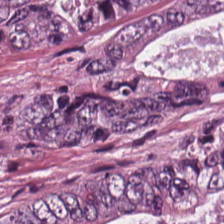0.5 microns per pixel. Hematoxylin and eosin.
The predominant tissue is tumor epithelium.
